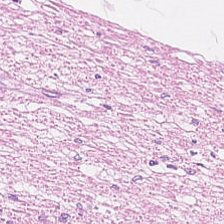Hematoxylin-and-eosin stained section. Q: What tissue type is shown here?
A: Muscularis.
